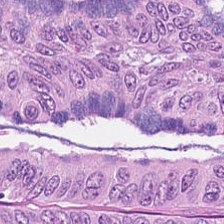Stain: H&E-stained tissue section.
Tissue: colorectal adenocarcinoma.
